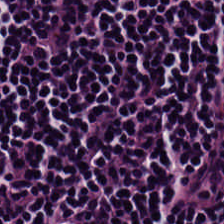Q: Classify this patch.
A: The field shows lymphocytes.
